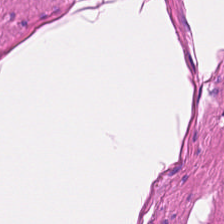0.5 microns per pixel; hematoxylin-and-eosin stained section — Showing smooth-muscle tissue.
